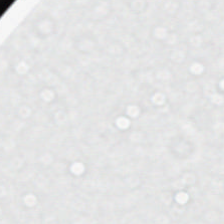Content: no tissue.
